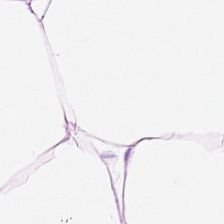Hematoxylin and eosin. 20× equivalent magnification. 224×224 pixel tile. Showing adipose tissue.
